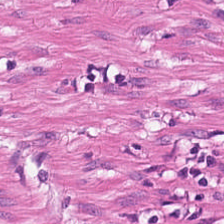Hematoxylin-and-eosin stained section — The predominant tissue is smooth muscle.
